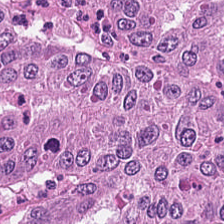FFPE; hematoxylin and eosin — {"tissue_type": "colorectal adenocarcinoma epithelium"}
